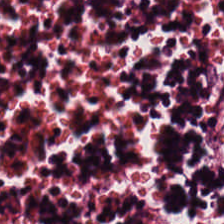Formalin-fixed paraffin-embedded section · H&E stain · 20× equivalent magnification. Classification = lymphocyte aggregate.
